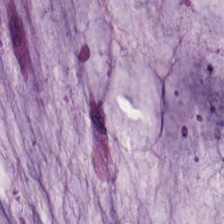Stain: H&E stain.
Resolution: 0.5 µm per pixel.
Classification: mucus.
